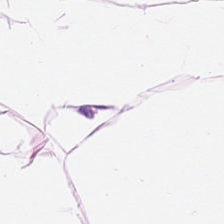0.5 microns per pixel. H&E stain. Whole-slide-image patch. Q: What is shown here?
A: The field shows adipose.
